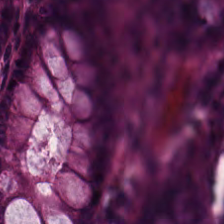FFPE tissue section. H&E-stained tissue section.
Showing normal colonic mucosa.
